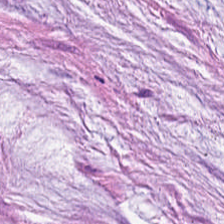WSI patch; 224×224 px tile; H&E. Q: What tissue is shown?
A: It is mucin.
